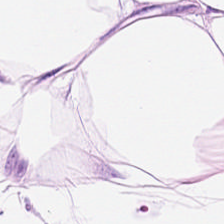H&E stain — Tissue type — adipocytes.
